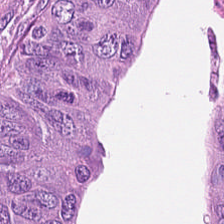Histology → adenocarcinoma.
